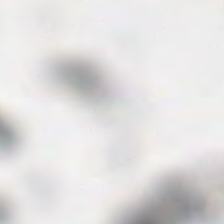Hematoxylin-and-eosin stained section. Q: What does this patch show?
A: The field shows background.
